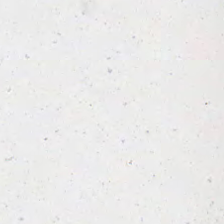H&E-stained tissue section · 0.5 µm per pixel — Empty field — background (no tissue).
